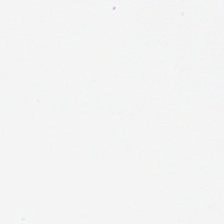Finding → no tissue.
